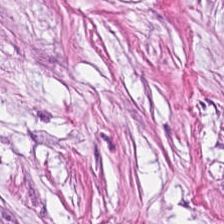H&E stain — Showing tumor-associated stroma.
